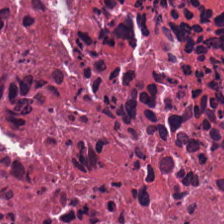Hematoxylin and eosin.
Showing necrotic debris.
